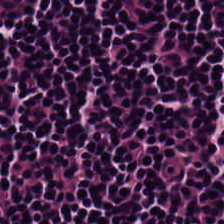H&E stain.
The predominant tissue is lymphoid infiltrate.
